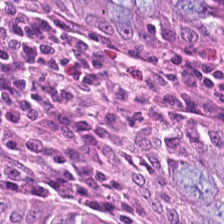H&E; 224×224 px patch — Tissue class = normal colon mucosa.
